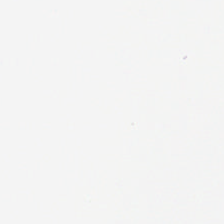Content — background (no tissue).
